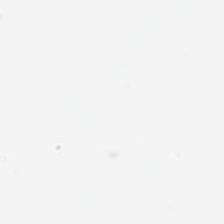H&E-stained tissue section.
No tissue present; background only.
